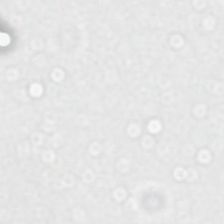224×224 px tile; 20× equivalent magnification; H&E-stained tissue section. Classification = no tissue.
